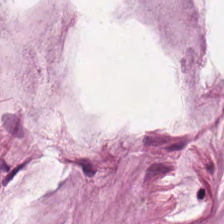FFPE; 20× equivalent magnification; hematoxylin-and-eosin stained section. Classification = extracellular mucin.
